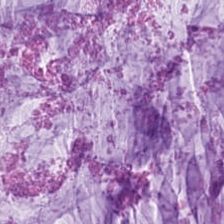H&E-stained tissue section.
This field is mucus.
